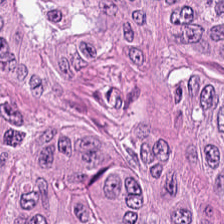Showing colorectal adenocarcinoma.
